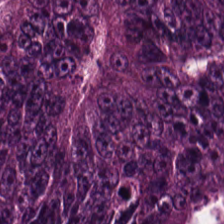Formalin-fixed paraffin-embedded section · H&E. Impression → malignant epithelium.
